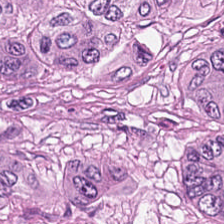Whole-slide-image patch; hematoxylin-and-eosin stained section; 0.5 µm/px.
This patch shows tumor epithelium.
